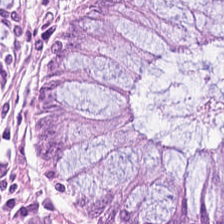Hematoxylin and eosin.
Normal colon mucosa.
